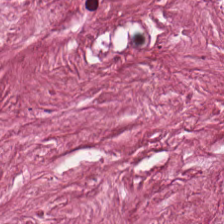Hematoxylin-and-eosin stained section.
Tissue class — desmoplastic stroma.
